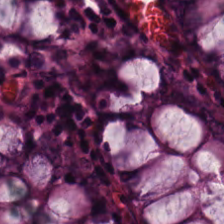{"tissue_type": "benign colonic mucosa"}
